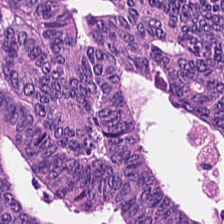Q: Identify the tissue.
A: This is colorectal adenocarcinoma.
